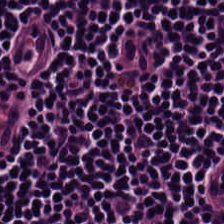Hematoxylin-and-eosin stained section. Predominantly lymphocyte aggregate.
